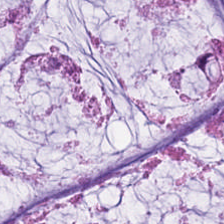The tissue class is extracellular mucin.
